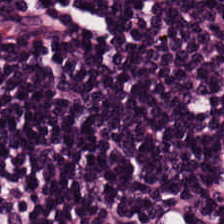224×224 pixel tile. 0.5 µm/px. H&E stain — Impression → lymphocyte aggregate.
